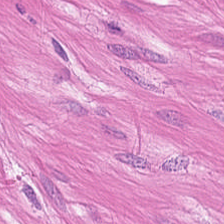Stain: H&E.
Resolution: 0.5 µm per pixel.
Tissue class: smooth-muscle tissue.
